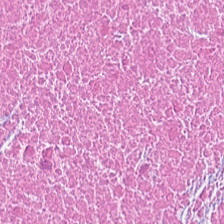20× equivalent magnification · H&E stain.
Tissue type: cellular debris.
